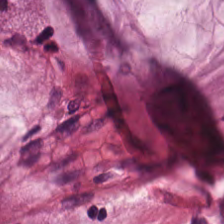Q: What is shown in this field?
A: The field shows extracellular mucin.
